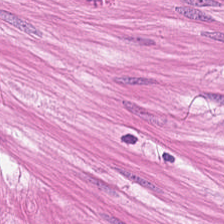Hematoxylin and eosin.
This field is smooth-muscle tissue.
